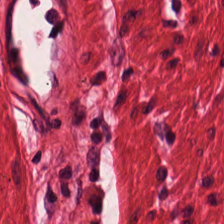Hematoxylin-and-eosin stained section — Tissue: smooth-muscle tissue.
